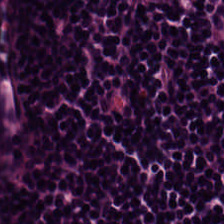Formalin-fixed paraffin-embedded section. 20× equivalent magnification. Hematoxylin and eosin.
Predominantly lymphoid infiltrate.
